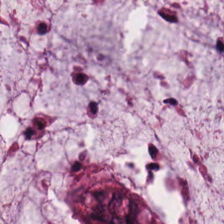0.5 microns per pixel · hematoxylin and eosin · formalin-fixed paraffin-embedded section.
Tissue type — mucus.
